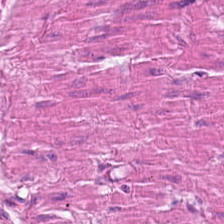Classification = smooth muscle.
